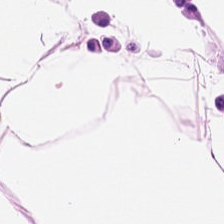0.5 µm per pixel · brightfield microscopy · H&E-stained tissue section — Fat tissue.
